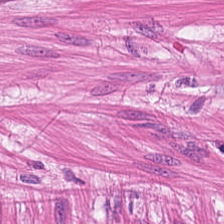Hematoxylin and eosin.
Impression → muscularis.
